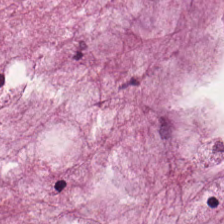H&E-stained tissue section. WSI patch — The tissue type is mucus.
